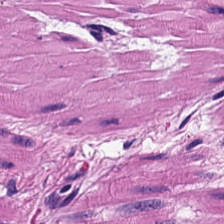0.5 µm/px · H&E stain.
Finding — muscularis.
